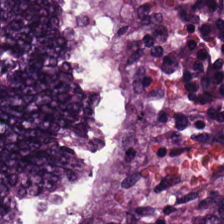FFPE · hematoxylin and eosin · whole-slide-image patch.
Impression → tumor epithelium.
